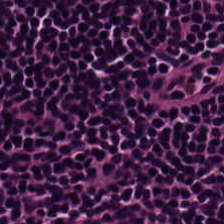H&E — This patch shows lymphocyte aggregate.
